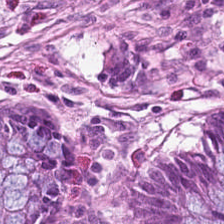Hematoxylin and eosin — The tissue here is benign colonic mucosa.
